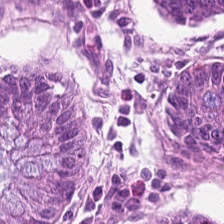Stain: H&E-stained tissue section.
Tissue: non-neoplastic colon mucosa.
